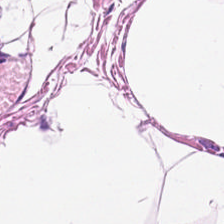Whole-slide-image patch · 224×224 pixel tile · H&E stain — Fat tissue.
